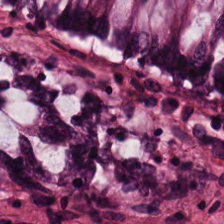H&E-stained tissue section.
The tissue here is normal colonic mucosa.
